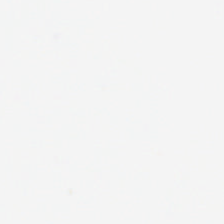0.5 µm/px. Hematoxylin-and-eosin stained section. Empty field — background (no tissue).
